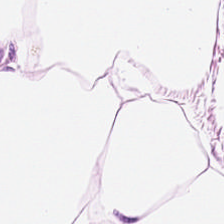H&E stain — Finding → adipocytes.
